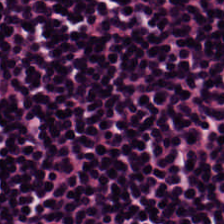Hematoxylin-and-eosin stained section.
This patch shows lymphocytes.
